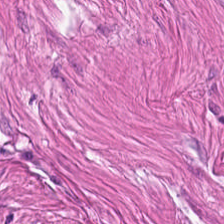Hematoxylin-and-eosin stained section. This field is smooth-muscle tissue.
